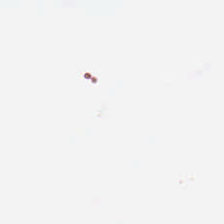H&E — Background.
